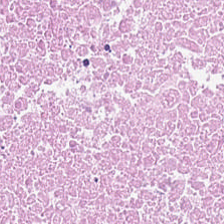The tissue is debris.
